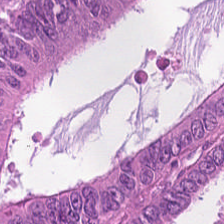H&E. 224×224 pixel tile. Classification — malignant epithelium.
